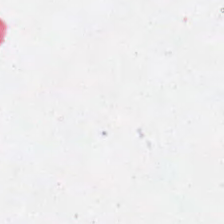Hematoxylin and eosin. Empty field — background.
